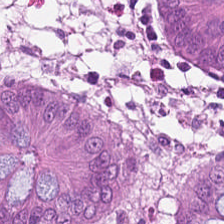Showing non-neoplastic colon mucosa.
